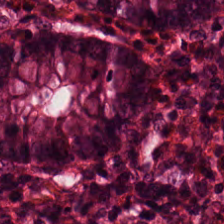WSI patch · 224×224 pixel tile · H&E stain.
Q: What does this patch show?
A: Normal colonic mucosa.
